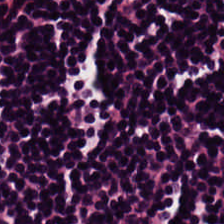Showing lymphoid infiltrate.
